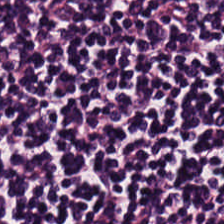H&E stain — The tissue is lymphocytes.
